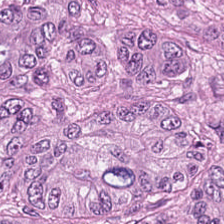Formalin-fixed paraffin-embedded section. H&E-stained tissue section. Predominantly colorectal adenocarcinoma.
